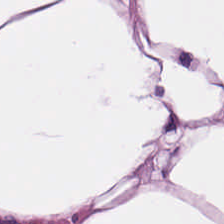Stain: hematoxylin-and-eosin stained section.
Preparation: FFPE tissue section.
Tissue: adipocytes.
